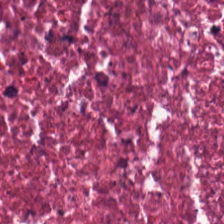0.5 microns per pixel · H&E.
Classification: necrotic debris.
